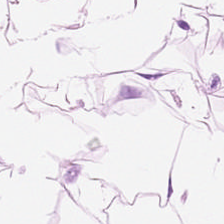224×224 px patch. H&E-stained tissue section. The predominant tissue is adipocytes.
